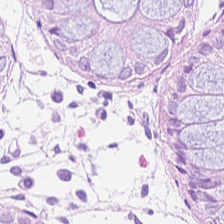Formalin-fixed paraffin-embedded section; H&E-stained tissue section. This field is normal colonic mucosa.
